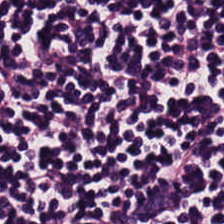Stain: H&E-stained tissue section.
Tile size: 224×224 px patch.
Predominant tissue: lymphocytes.
